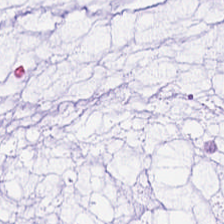Hematoxylin-and-eosin stained section — Tissue: mucin.
